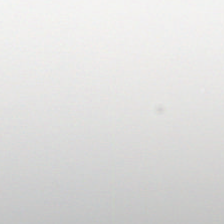Empty field — background.
